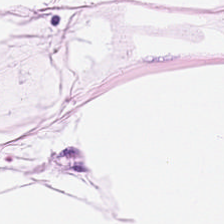H&E-stained tissue section.
Q: What is shown in this field?
A: The field shows fat tissue.
